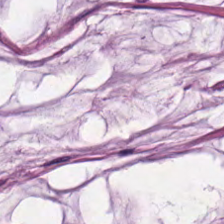FFPE tissue section. 224×224 pixel tile. H&E stain. Q: Classify this patch.
A: Extracellular mucin.
